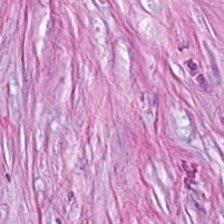Hematoxylin-and-eosin stained section · brightfield microscopy — Classification = cancer-associated stroma.
